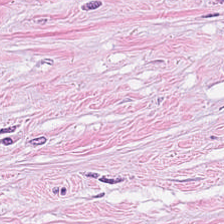H&E — tumor-associated stroma.
